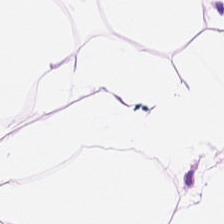Hematoxylin-and-eosin stained section.
This patch shows adipocytes.
